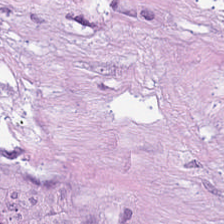H&E stain. 224×224 px tile — Showing tumor stroma.
